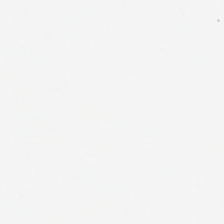Finding → empty background.
